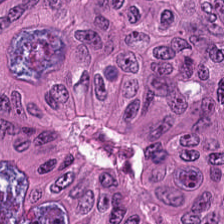Hematoxylin-and-eosin stained section.
The predominant tissue is colorectal adenocarcinoma epithelium.
